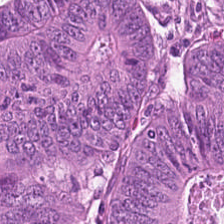H&E stain.
The tissue class is malignant epithelium.
